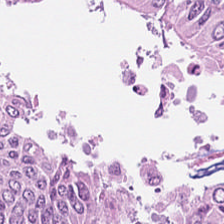H&E. Finding — colorectal adenocarcinoma epithelium.
